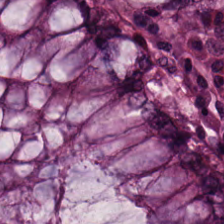H&E stain.
Showing non-neoplastic colon mucosa.
